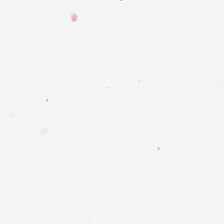224×224 px patch. H&E-stained tissue section.
No tissue.
